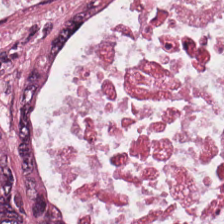Hematoxylin-and-eosin stained section — Classification = colorectal adenocarcinoma epithelium.
